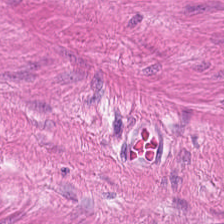WSI patch. H&E. Classification = muscularis.
